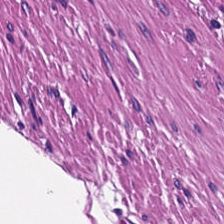H&E. Showing muscularis.
